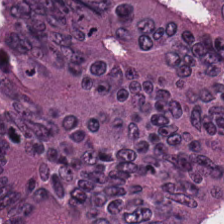Hematoxylin and eosin; 0.5 µm/px. {"tissue_type": "malignant epithelium"}
